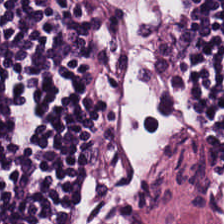Brightfield · 0.5 µm per pixel · H&E. The tissue is lymphocytic infiltrate.
